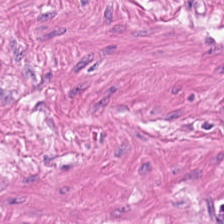H&E stain.
Impression → smooth muscle.
